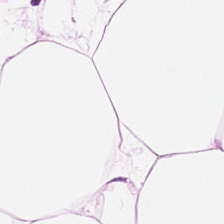Stain: hematoxylin and eosin.
Preparation: formalin-fixed paraffin-embedded section.
Acquisition: whole-slide-image patch.
Classification: adipocytes.
